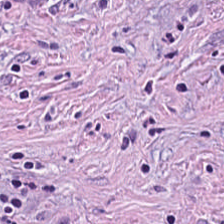Q: What is shown in this field?
A: Tumor stroma.
